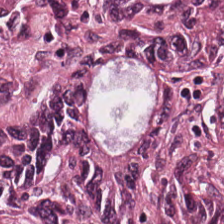Adenocarcinoma.
